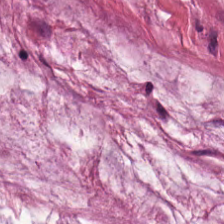H&E stain.
This patch shows mucin.
